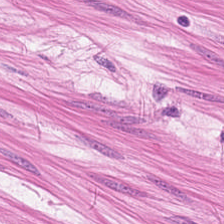Stain: H&E.
Predominant tissue: smooth muscle.
